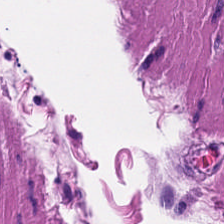Q: What type of tissue is this?
A: The field shows smooth muscle.
